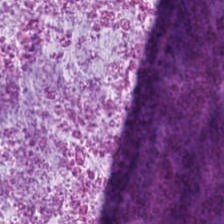H&E stain. Classification — extracellular mucin.
